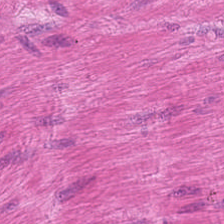Stain: H&E.
Tissue type: smooth-muscle tissue.
